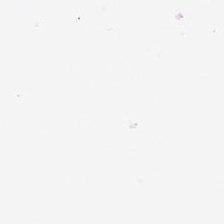Hematoxylin and eosin — The content is background (no tissue).
